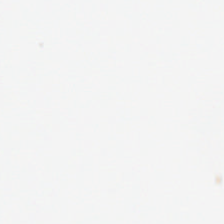H&E-stained tissue section. 224×224 pixel tile.
{"content": "empty background"}
